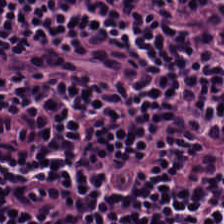H&E stain.
Tissue class = lymphocytes.
